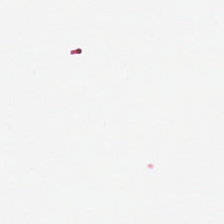0.5 microns per pixel; hematoxylin and eosin. Q: What is shown in this field?
A: It is background (no tissue).
